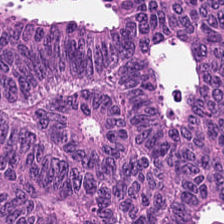Formalin-fixed paraffin-embedded section. Hematoxylin and eosin. 0.5 µm per pixel. Histology → tumor epithelium.
